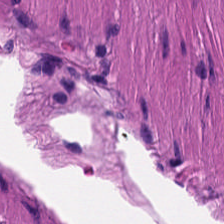Hematoxylin-and-eosin stained section.
Tissue class = muscularis.
